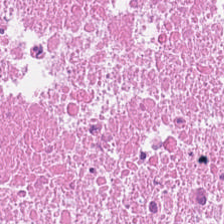Hematoxylin and eosin. Brightfield microscopy. Formalin-fixed paraffin-embedded section.
Tissue type — cellular debris.
